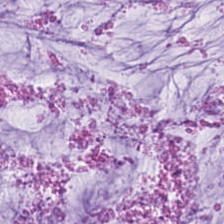H&E stain; whole-slide-image patch — Classification = extracellular mucin.
